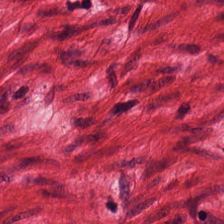The tissue here is muscularis.
